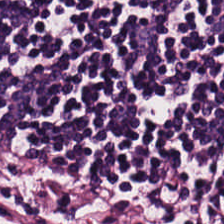Stain: H&E.
Tile size: 224×224 px tile.
Preparation: FFPE.
Predominant tissue: lymphocytes.
